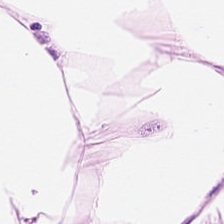The predominant tissue is adipose.
